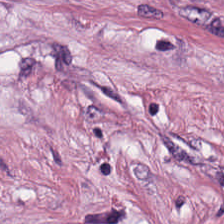H&E. The predominant tissue is desmoplastic stroma.
